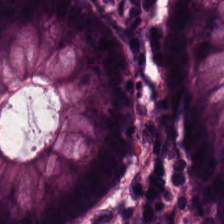224×224 px patch · H&E-stained tissue section.
Impression — benign colonic mucosa.
